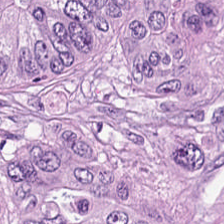Histology — malignant epithelium.
